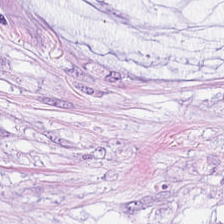H&E-stained tissue section. 0.5 µm/px — Q: What type of tissue is this?
A: This is extracellular mucin.
